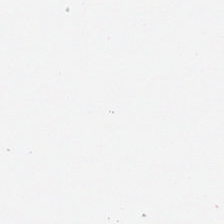H&E-stained tissue section · 224×224 pixel tile. This field is background (no tissue).
